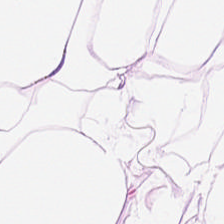Hematoxylin and eosin.
Fat tissue.
